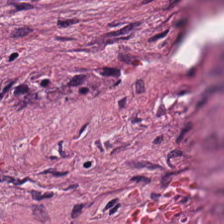The predominant tissue is tumor-associated stroma.
